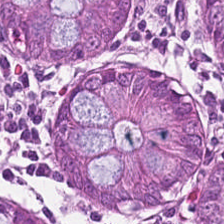H&E-stained tissue section. The predominant tissue is normal colonic mucosa.
